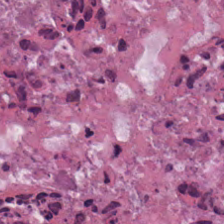Hematoxylin and eosin — Q: What is the predominant tissue type?
A: Necrotic debris.
